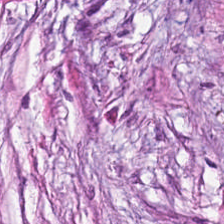20× equivalent magnification · FFPE tissue section · hematoxylin-and-eosin stained section.
Predominant tissue — cancer-associated stroma.
